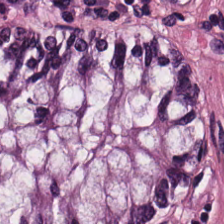0.5 microns per pixel. H&E — The tissue type is normal colonic mucosa.
